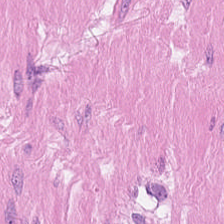Hematoxylin-and-eosin stained section; brightfield microscopy; 224×224 px patch. This field is smooth-muscle tissue.
